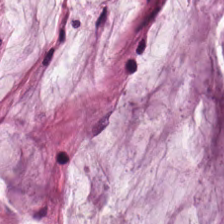{"tissue_type": "extracellular mucin"}
